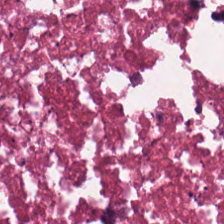Hematoxylin-and-eosin stained section · WSI patch — The tissue is debris.
